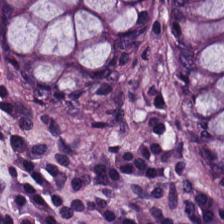Hematoxylin-and-eosin stained section. Predominant tissue: benign colonic mucosa.
